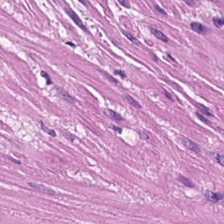Tissue class: smooth-muscle tissue.
